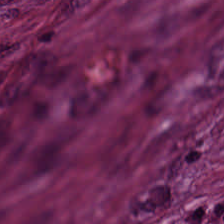0.5 µm/px. H&E-stained tissue section.
This field is cancer-associated stroma.
